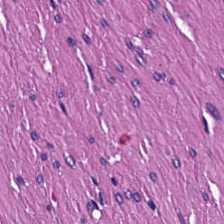H&E-stained tissue section — Tissue class — muscularis.
